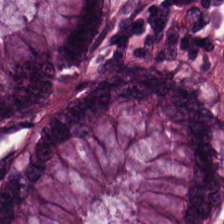Predominantly benign colonic mucosa.
